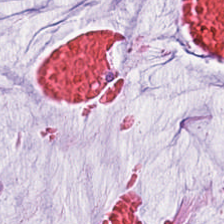This patch shows mucin.
